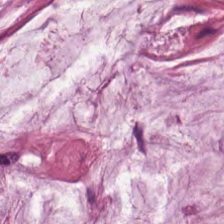Stain: H&E stain.
Acquisition: brightfield.
Tile size: 224×224 pixel tile.
Tissue class: mucus.
